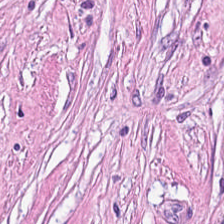FFPE tissue section; H&E — The classification is tumor-associated stroma.
